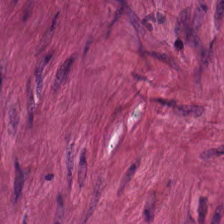Stain: H&E-stained tissue section.
Acquisition: brightfield.
Preparation: formalin-fixed paraffin-embedded section.
Predominant tissue: smooth muscle.
